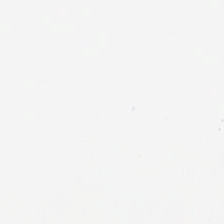H&E stain; FFPE; brightfield microscopy — Q: What does this patch show?
A: This is background (no tissue).
